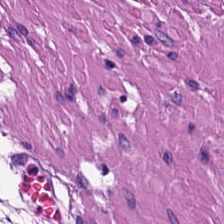H&E-stained tissue section; 224×224 pixel tile; whole-slide-image patch.
Impression → smooth muscle.
